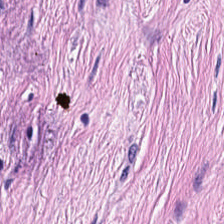Hematoxylin-and-eosin stained section — Tumor stroma.
